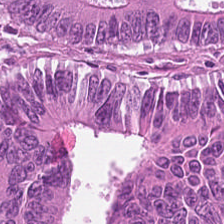Hematoxylin and eosin; whole-slide-image patch; 224×224 px patch.
Tissue type — colorectal adenocarcinoma epithelium.
